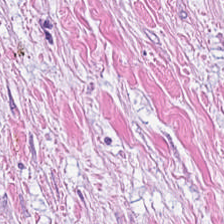Hematoxylin-and-eosin stained section — Impression → desmoplastic stroma.
